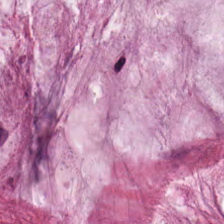Hematoxylin-and-eosin stained section. Tissue = mucus.
